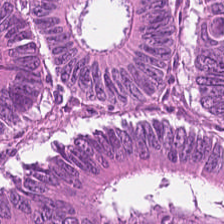224×224 px patch. FFPE tissue section. H&E — The tissue here is colorectal adenocarcinoma epithelium.
